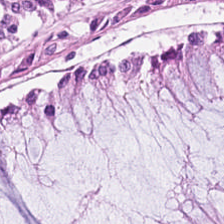Hematoxylin and eosin — The predominant tissue is normal colon mucosa.
